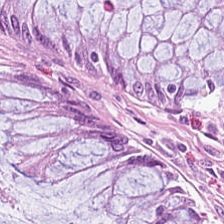Hematoxylin and eosin.
Q: What is the predominant tissue type?
A: This is benign colonic mucosa.
